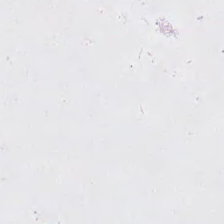No tissue present; background only.
